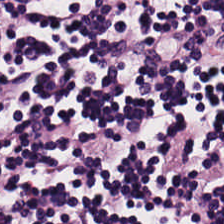Whole-slide-image patch · 224×224 px patch · H&E-stained tissue section — Tissue = lymphocyte aggregate.
